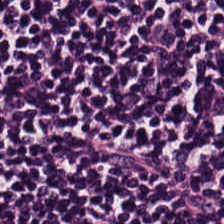Histology → lymphocytic infiltrate.
